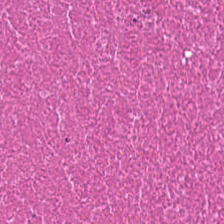H&E; formalin-fixed paraffin-embedded section; WSI patch.
Predominantly cellular debris.
